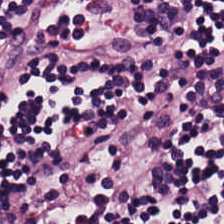Stain: hematoxylin-and-eosin stained section.
Tissue type: lymphoid infiltrate.
